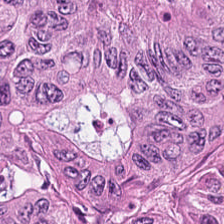Hematoxylin-and-eosin stained section.
Q: What type of tissue is this?
A: Adenocarcinoma.
